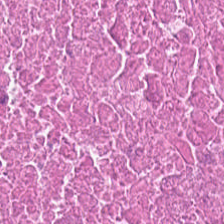Showing debris.
